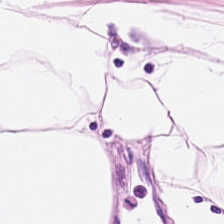224×224 pixel tile; H&E-stained tissue section. Predominant tissue — adipose.
